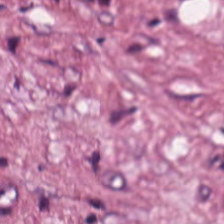Hematoxylin and eosin.
{"tissue_type": "tumor stroma"}
